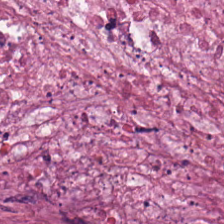Hematoxylin-and-eosin stained section. Predominantly debris.
